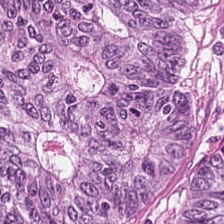H&E. 20× equivalent magnification. Brightfield microscopy. Tissue class = colorectal adenocarcinoma.
